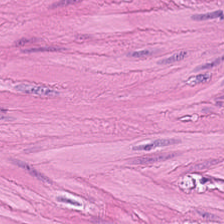Stain: hematoxylin and eosin.
Tile size: 224×224 pixel tile.
Tissue: muscularis.
